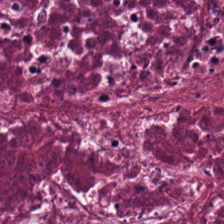H&E stain. Tissue type: debris.
